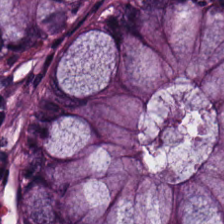Predominantly normal colonic mucosa.
